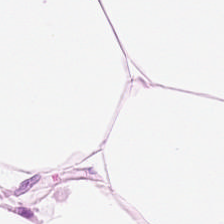H&E stain.
The tissue here is adipose.
